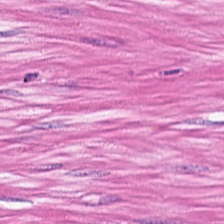Hematoxylin and eosin — Predominantly muscularis.
